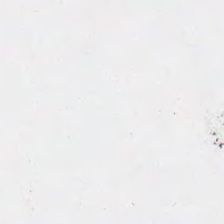Hematoxylin-and-eosin stained section.
Empty field — background (no tissue).
